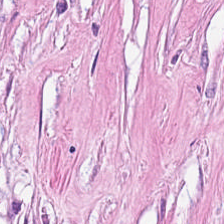Hematoxylin and eosin · FFPE.
Tumor-associated stroma.
